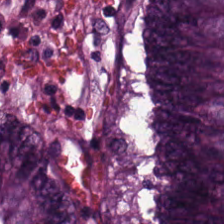Hematoxylin-and-eosin stained section. 224×224 px tile. WSI patch — Histology → colorectal adenocarcinoma.
